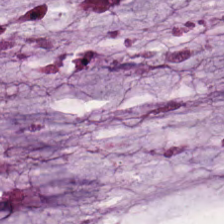Tissue class: extracellular mucin.
